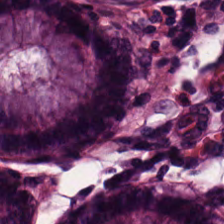H&E-stained tissue section · brightfield. The tissue class is normal colon mucosa.
